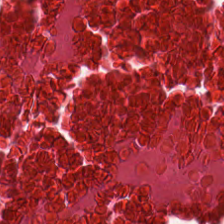H&E-stained tissue section showing cellular debris.
